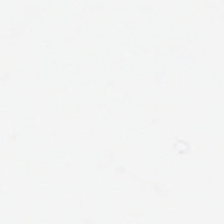Hematoxylin-and-eosin stained section.
Background — no tissue in this field.
